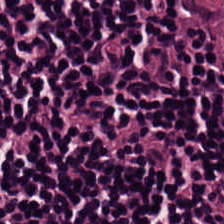Finding → lymphoid infiltrate.
